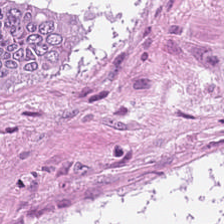Q: Identify the tissue.
A: It is malignant epithelium.
